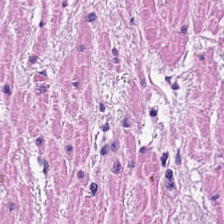Stain: H&E-stained tissue section.
Tissue: muscularis.
